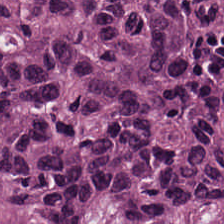{"tissue_type": "tumor epithelium"}
